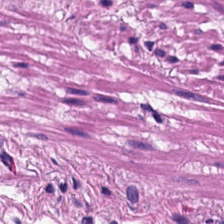Hematoxylin and eosin. Histology — muscularis.
